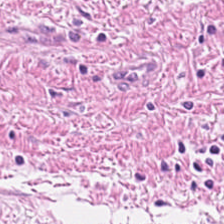224×224 px patch; WSI patch; H&E stain.
Tissue class = muscularis.
